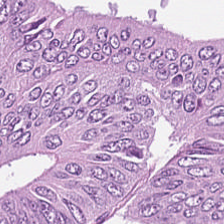Hematoxylin-and-eosin stained section; FFPE tissue section. This patch shows tumor epithelium.
